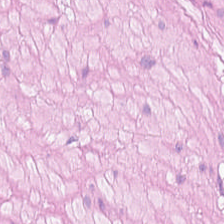Brightfield · H&E stain. {"tissue_type": "smooth muscle"}
